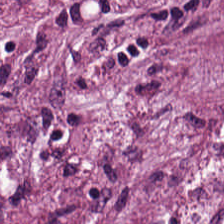Hematoxylin and eosin — This field is tumor stroma.
